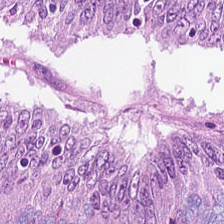H&E; FFPE. Predominantly colorectal adenocarcinoma.
